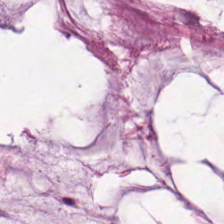Hematoxylin-and-eosin stained section.
This patch shows mucin.
